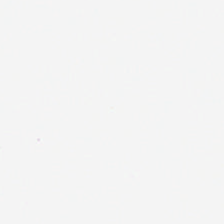Hematoxylin-and-eosin stained section. 20× equivalent magnification. Brightfield.
Q: Classify this patch.
A: The field shows empty background.
